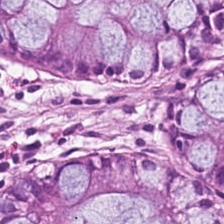H&E stain. Tissue type = benign colonic mucosa.
